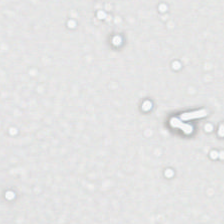Hematoxylin and eosin — Q: What is shown in this field?
A: It is empty background.
